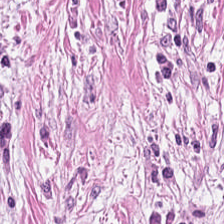H&E. 224×224 px patch. Whole-slide-image patch — The tissue is tumor stroma.
